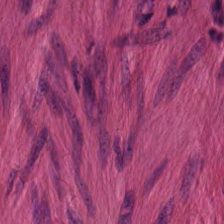H&E-stained tissue section. Muscularis.
